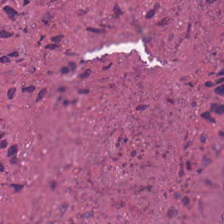{"tissue_type": "debris"}
